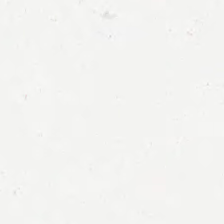Stain: H&E-stained tissue section.
Classification: background (no tissue).
